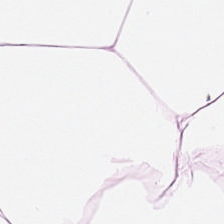H&E — adipose tissue.
